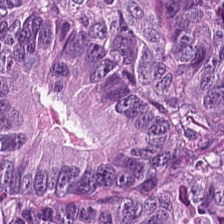224×224 px patch. H&E. 20× equivalent magnification — Tissue type = adenocarcinoma.
